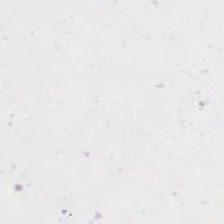Content — background.
